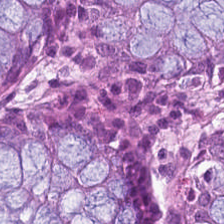Stain: hematoxylin and eosin.
Preparation: formalin-fixed paraffin-embedded section.
Tissue class: normal colon mucosa.
